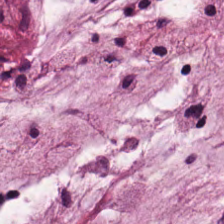Hematoxylin and eosin — Q: What tissue is shown?
A: The field shows mucin.
